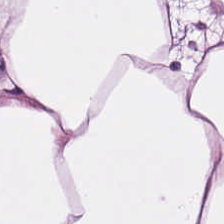0.5 microns per pixel · hematoxylin-and-eosin stained section.
Showing adipose tissue.
